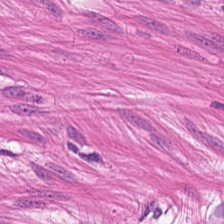Predominant tissue = muscularis.
